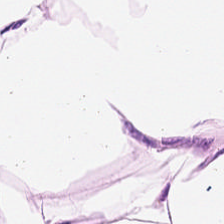Hematoxylin-and-eosin stained section. 0.5 microns per pixel — Tissue class — adipocytes.
